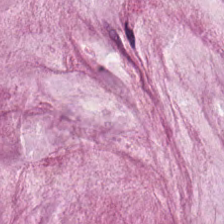224×224 px tile; FFPE; hematoxylin and eosin.
The tissue is mucus.
